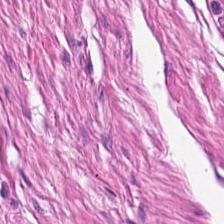Hematoxylin-and-eosin stained section.
This patch shows muscularis.
